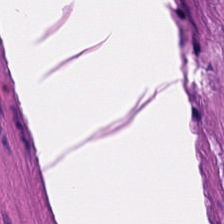H&E stain — The tissue here is muscularis.
